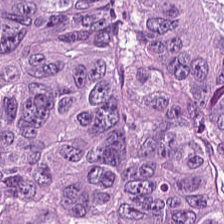H&E stain · FFPE.
The tissue here is malignant epithelium.
